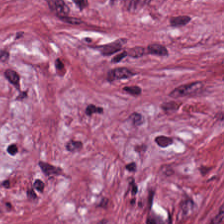Hematoxylin-and-eosin stained section.
This field is cancer-associated stroma.
